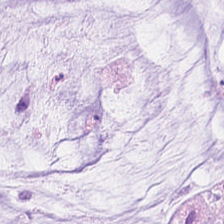The tissue is mucus.
